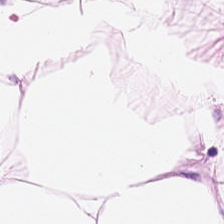Predominantly fat tissue.
